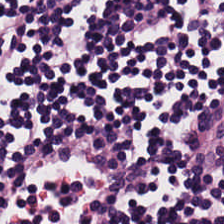H&E stain. Tissue class — lymphoid infiltrate.
